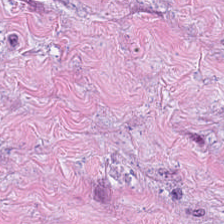Whole-slide-image patch. Hematoxylin-and-eosin stained section.
The tissue here is desmoplastic stroma.
